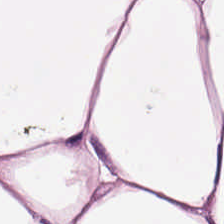FFPE tissue section · hematoxylin and eosin — Q: Identify the tissue.
A: Fat tissue.
